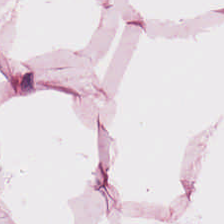Hematoxylin and eosin. Whole-slide-image patch. Predominantly adipocytes.
